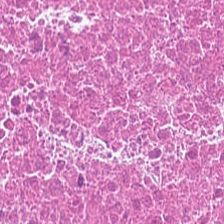0.5 microns per pixel · H&E-stained tissue section — Debris.
